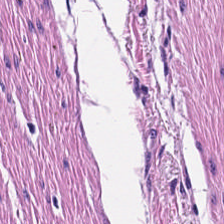Tissue type — muscularis.
